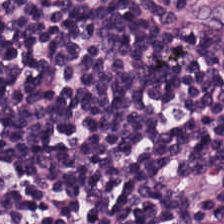Stain: H&E.
Predominant tissue: lymphocytic infiltrate.
